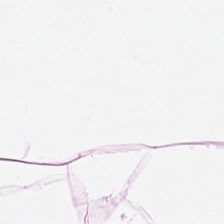Q: What is the predominant tissue type?
A: This is adipocytes.
